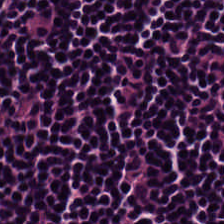H&E. 224×224 px patch. Brightfield microscopy.
Predominantly lymphoid infiltrate.
